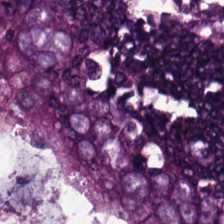Impression — adenocarcinoma.
